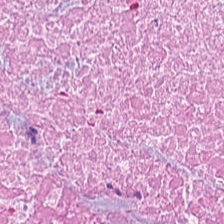Hematoxylin and eosin. Cellular debris.
